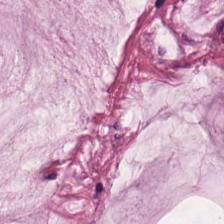H&E · 224×224 px tile — Q: What is the predominant tissue type?
A: It is mucus.
